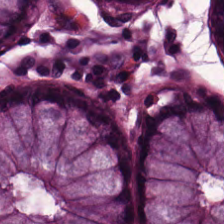Hematoxylin and eosin; 224×224 px tile. Predominantly non-neoplastic colon mucosa.
